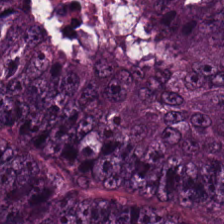Stain: hematoxylin and eosin.
Tile size: 224×224 px tile.
Acquisition: WSI patch.
Tissue: malignant epithelium.
